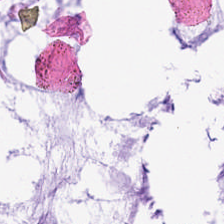Hematoxylin-and-eosin stained section. Finding → mucus.
